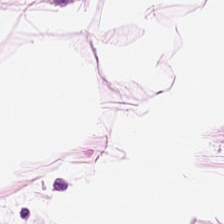224×224 px tile; H&E-stained tissue section — Showing adipose.
